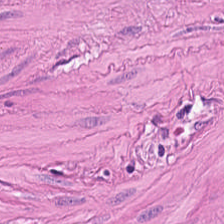H&E-stained tissue section. Impression — smooth-muscle tissue.
